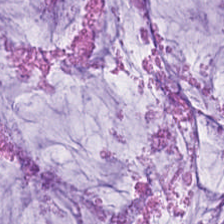Predominant tissue — extracellular mucin.
